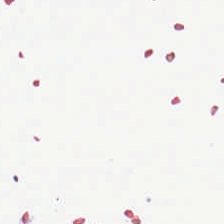H&E-stained tissue section — Classification = empty background.
